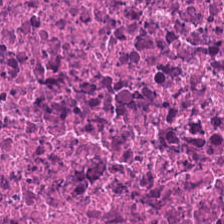20× equivalent magnification; H&E. The tissue here is cellular debris.
